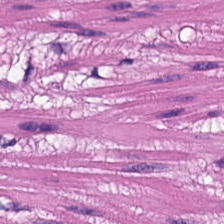H&E stain. 224×224 px tile — This patch shows smooth muscle.
